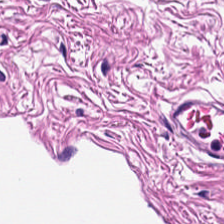H&E-stained tissue section. Finding → smooth-muscle tissue.
